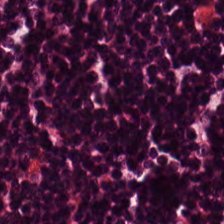224×224 px tile. Hematoxylin and eosin — This patch shows lymphocytes.
